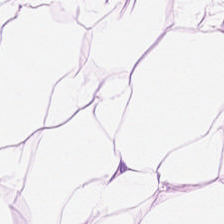Hematoxylin-and-eosin stained section; 224×224 pixel tile; 20× equivalent magnification — Showing adipose.
